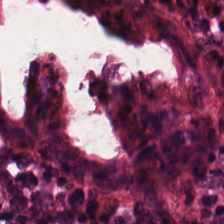Q: What is shown in this field?
A: It is benign colonic mucosa.
